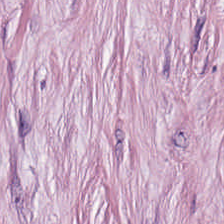Q: Identify the tissue.
A: This is desmoplastic stroma.
